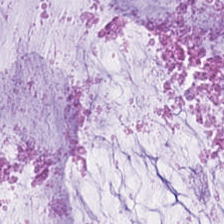Hematoxylin-and-eosin stained section · FFPE.
Predominantly extracellular mucin.
